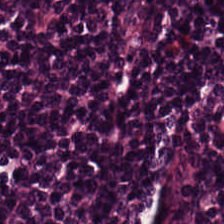FFPE; hematoxylin-and-eosin stained section. The tissue here is lymphocyte aggregate.
